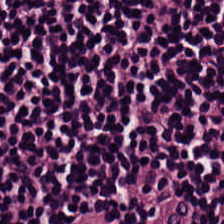{"tissue_type": "lymphocytes"}
